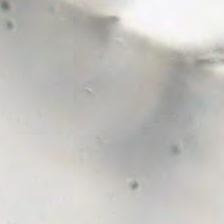Hematoxylin-and-eosin stained section. Classification = empty background.
